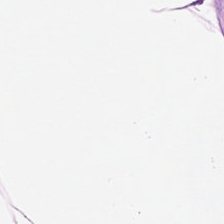Hematoxylin and eosin.
Predominant tissue: adipocytes.
